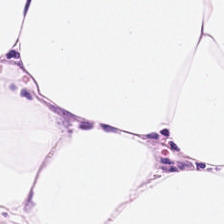H&E-stained tissue section · 0.5 µm/px — Q: What is shown in this field?
A: It is adipose tissue.
